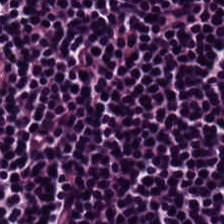Histology — lymphocytic infiltrate.
